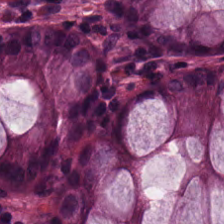{"tissue_type": "non-neoplastic colon mucosa"}
